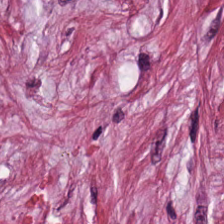0.5 µm per pixel · whole-slide-image patch · H&E stain — Tissue type — desmoplastic stroma.
